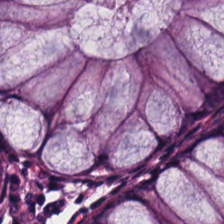H&E stain.
Normal colonic mucosa.
